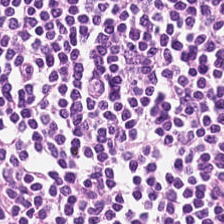H&E stain.
The tissue type is lymphocytic infiltrate.
